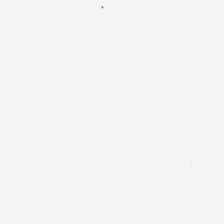Background — no tissue in this field.
